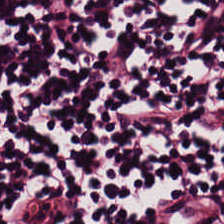Predominant tissue = lymphoid infiltrate.
